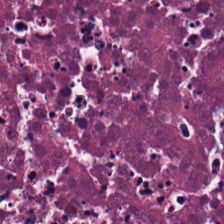Stain: H&E.
Tissue: debris.
